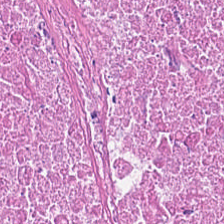Hematoxylin-and-eosin stained section.
The tissue here is cellular debris.
